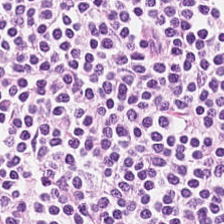Stain: hematoxylin-and-eosin stained section.
Tile size: 224×224 px tile.
Tissue class: lymphocytes.
